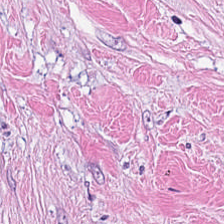H&E. Q: What is shown here?
A: The field shows desmoplastic stroma.
